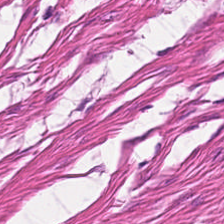Hematoxylin and eosin; 20× equivalent magnification. Q: What tissue type is shown here?
A: The field shows muscularis.
